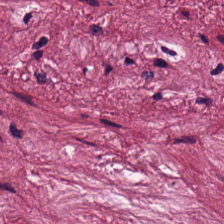Hematoxylin-and-eosin stained section. 224×224 px tile.
Q: What does this patch show?
A: The field shows cancer-associated stroma.
